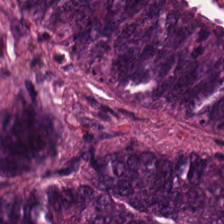H&E-stained tissue section · 20× equivalent magnification. Classification = colorectal adenocarcinoma epithelium.
